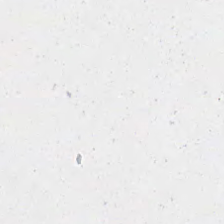20× equivalent magnification. Hematoxylin and eosin.
{"content": "background (no tissue)"}
